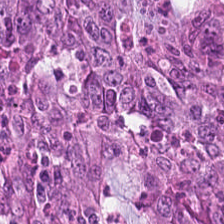Finding — colorectal adenocarcinoma.
